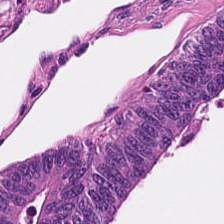H&E stain. 0.5 microns per pixel — Q: Identify the tissue.
A: It is malignant epithelium.
